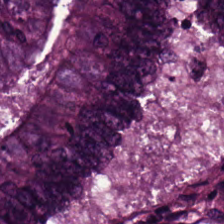Hematoxylin and eosin.
Showing malignant epithelium.
